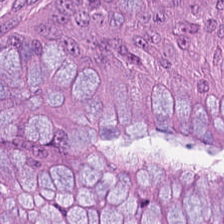H&E-stained tissue section — This field is malignant epithelium.
